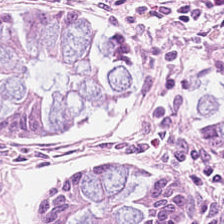H&E.
Classification — benign colonic mucosa.
